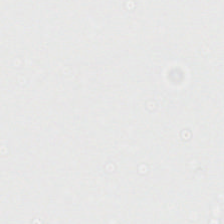Hematoxylin and eosin. Background — no tissue in this field.
